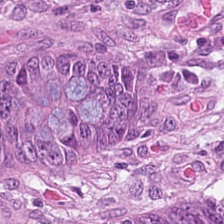FFPE tissue section; H&E-stained tissue section.
Predominantly colorectal adenocarcinoma epithelium.
